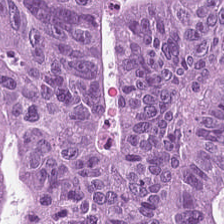{"tissue_type": "colorectal adenocarcinoma epithelium"}
